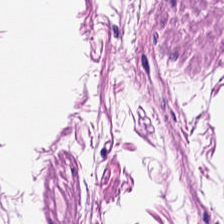224×224 px patch; hematoxylin-and-eosin stained section — Q: What is the predominant tissue type?
A: It is smooth muscle.
